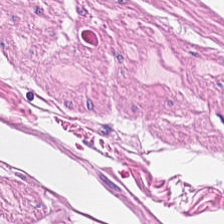Hematoxylin-and-eosin stained section · formalin-fixed paraffin-embedded section. Q: What tissue is shown?
A: This is smooth muscle.
